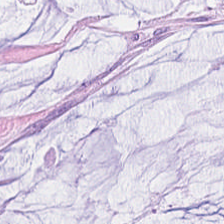H&E-stained tissue section.
The tissue type is mucus.
